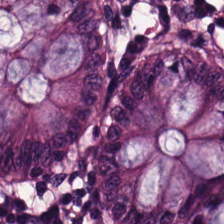Formalin-fixed paraffin-embedded section; H&E — This field is non-neoplastic colon mucosa.
